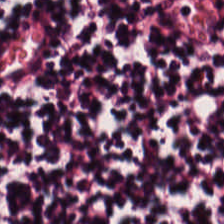H&E-stained tissue section. 224×224 pixel tile — {"tissue_type": "lymphocytic infiltrate"}
